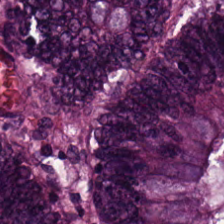FFPE tissue section · 0.5 µm/px · H&E — The classification is colorectal adenocarcinoma epithelium.
